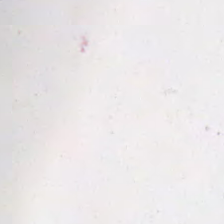224×224 px tile · H&E-stained tissue section.
Empty field — no tissue.
